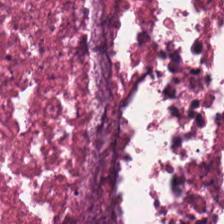FFPE tissue section · H&E stain.
The classification is necrotic debris.
